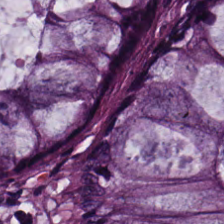H&E — non-neoplastic colon mucosa.
